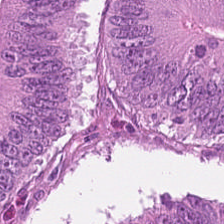Hematoxylin and eosin.
The predominant tissue is tumor epithelium.
